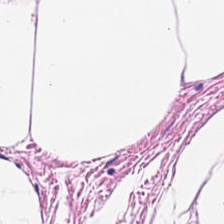The tissue type is adipose tissue.
